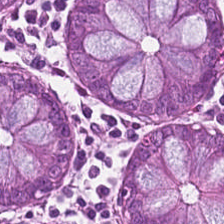Classification: normal colonic mucosa.
